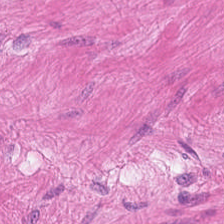H&E-stained tissue section.
The tissue class is muscularis.
